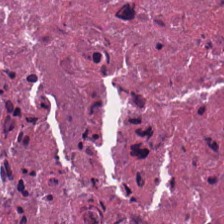Hematoxylin-and-eosin section: necrotic debris.
